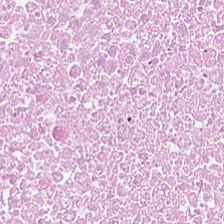H&E — Classification = debris.
